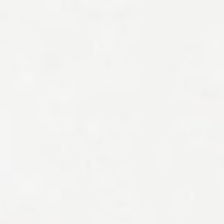Hematoxylin-and-eosin stained section; 224×224 pixel tile; formalin-fixed paraffin-embedded section — Q: What is shown in this field?
A: Background.
